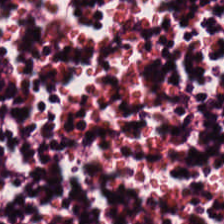Lymphoid infiltrate.
